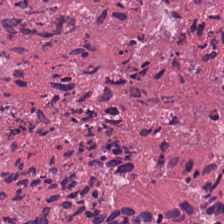Hematoxylin-and-eosin stained section.
The tissue class is debris.
